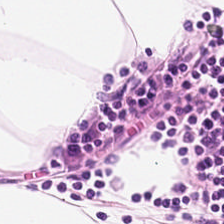H&E-stained tissue section. 224×224 pixel tile. This field is fat tissue.
